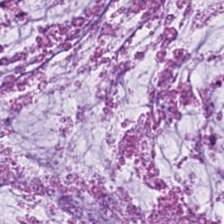{"tissue_type": "extracellular mucin"}
